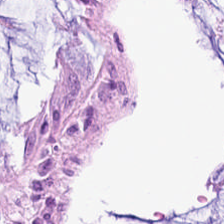H&E stain. Tissue — non-neoplastic colon mucosa.
